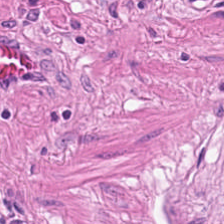H&E-stained tissue section. This field is smooth-muscle tissue.
